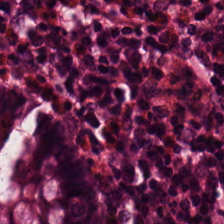Stain: H&E.
Tissue type: benign colonic mucosa.
